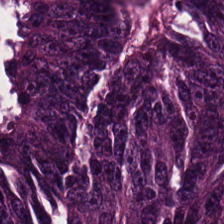H&E. WSI patch.
Predominantly adenocarcinoma.
